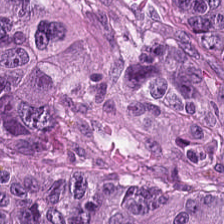Stain: H&E.
Tile size: 224×224 px tile.
Acquisition: whole-slide-image patch.
Classification: colorectal adenocarcinoma epithelium.
